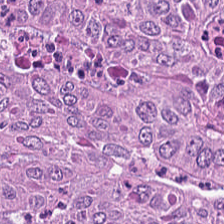Stain: H&E stain.
Tile size: 224×224 pixel tile.
Preparation: FFPE.
Tissue: colorectal adenocarcinoma.
